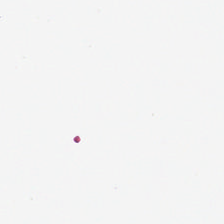Stain: H&E stain.
Content: no tissue.
